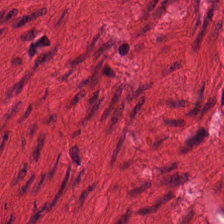H&E stain · 0.5 µm/px · 224×224 px patch.
Histology → smooth muscle.
